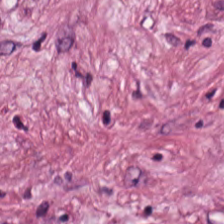Q: What does this patch show?
A: It is cancer-associated stroma.
